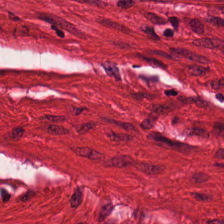H&E-stained tissue section. The tissue type is smooth-muscle tissue.
